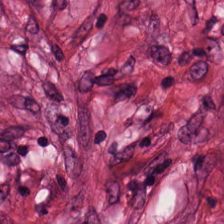Brightfield · H&E stain — Q: What tissue is shown?
A: The field shows cancer-associated stroma.
